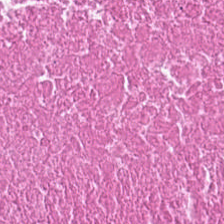H&E.
Necrotic debris.
